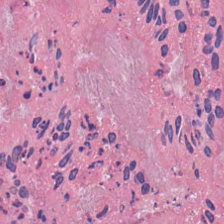H&E stain · 224×224 px patch. Predominant tissue — cellular debris.
